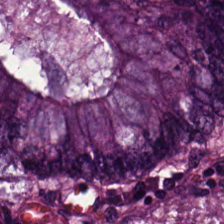Hematoxylin and eosin. Predominantly colorectal adenocarcinoma.
